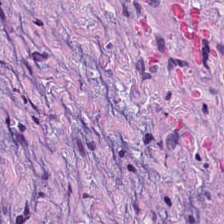FFPE · H&E stain · 20× equivalent magnification. {"tissue_type": "tumor-associated stroma"}
